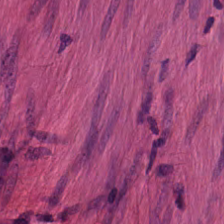224×224 px patch; H&E-stained tissue section; formalin-fixed paraffin-embedded section — This patch shows smooth-muscle tissue.
